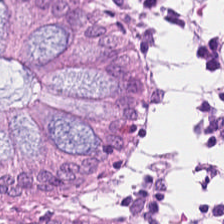H&E stain; FFPE.
Histology — normal colonic mucosa.
